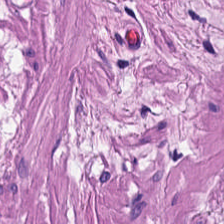The tissue here is smooth muscle.
